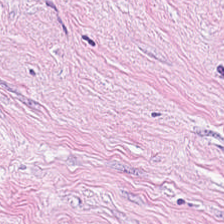Tissue type: tumor stroma.
